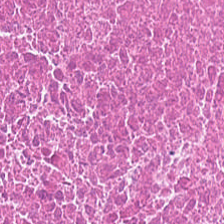Debris.
